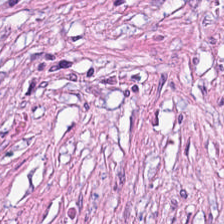H&E — This patch shows tumor-associated stroma.
